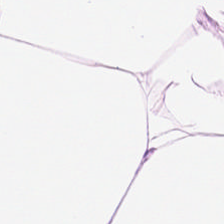The predominant tissue is adipose.
